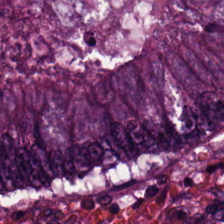Stain: H&E-stained tissue section.
Preparation: FFPE tissue section.
Predominant tissue: colorectal adenocarcinoma.
